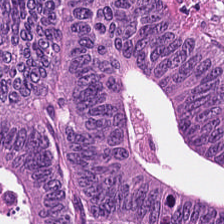H&E-stained tissue section · 0.5 µm per pixel — The predominant tissue is colorectal adenocarcinoma.
